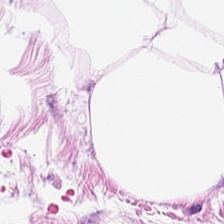Stain: hematoxylin-and-eosin stained section.
Preparation: FFPE.
Tissue: adipocytes.
